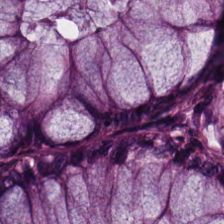224×224 px tile. H&E-stained tissue section. Brightfield microscopy. Finding → normal colon mucosa.
